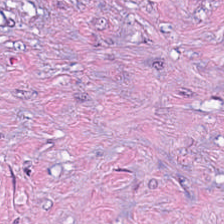224×224 px patch · hematoxylin and eosin — Finding — cancer-associated stroma.
